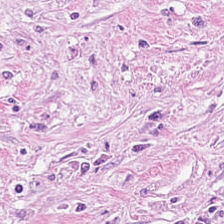Stain: H&E-stained tissue section.
Tissue type: tumor-associated stroma.
